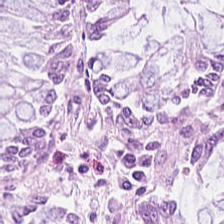224×224 pixel tile; hematoxylin-and-eosin stained section — {"tissue_type": "benign colonic mucosa"}
